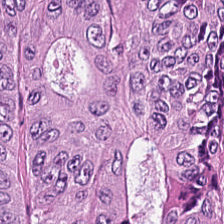Hematoxylin-and-eosin stained section · FFPE.
Q: What tissue is shown?
A: The field shows colorectal adenocarcinoma epithelium.
